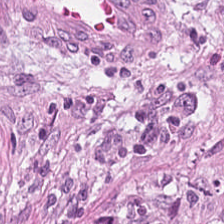Stain: hematoxylin and eosin.
Predominant tissue: cancer-associated stroma.
